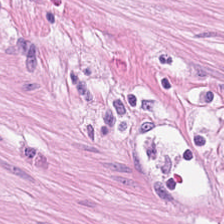H&E — The tissue type is smooth muscle.
